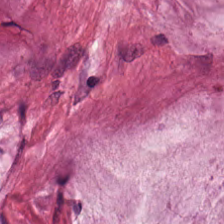H&E-stained tissue section · 20× equivalent magnification. Predominant tissue: mucin.
